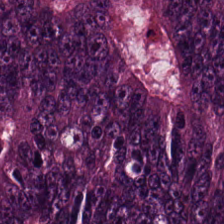H&E stain.
{"tissue_type": "colorectal adenocarcinoma"}
